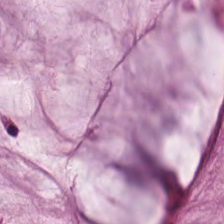H&E. {"tissue_type": "extracellular mucin"}
